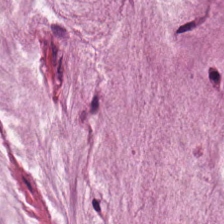Stain: H&E.
Tissue: extracellular mucin.
